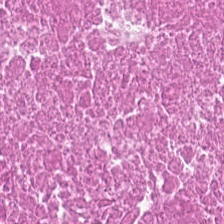H&E-stained tissue section. FFPE tissue section — This patch shows debris.
